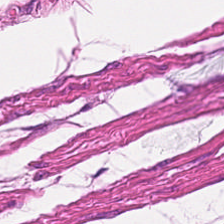Q: What type of tissue is this?
A: The field shows smooth-muscle tissue.
